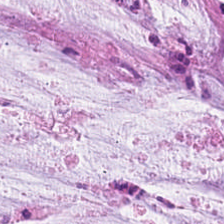FFPE tissue section · 224×224 pixel tile · H&E-stained tissue section. Q: What type of tissue is this?
A: The field shows mucus.
